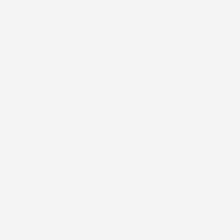Histology — background.
